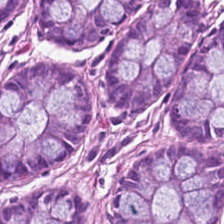224×224 px patch; H&E-stained tissue section; brightfield — Predominant tissue: benign colonic mucosa.
